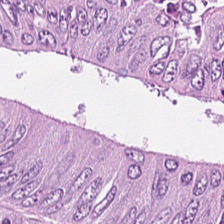Hematoxylin-and-eosin stained section. Whole-slide-image patch. FFPE.
This field is colorectal adenocarcinoma epithelium.
